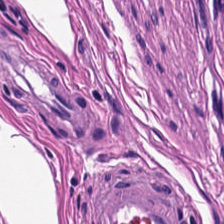Hematoxylin and eosin · 224×224 px patch. Tissue type: smooth-muscle tissue.
